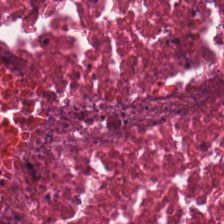Hematoxylin and eosin. 0.5 microns per pixel. FFPE tissue section. This field is necrotic debris.
